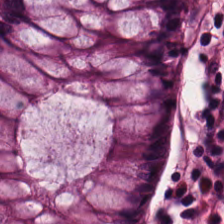H&E. 0.5 microns per pixel.
The predominant tissue is benign colonic mucosa.
